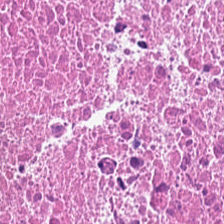{"tissue_type": "cellular debris"}
